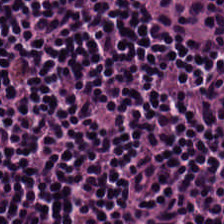Stain: hematoxylin and eosin.
Predominant tissue: lymphoid infiltrate.
